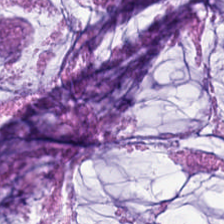Tissue type — mucin.
